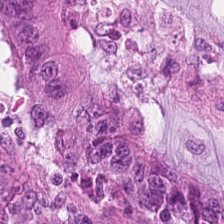H&E stain. Q: What does this patch show?
A: The field shows adenocarcinoma.
